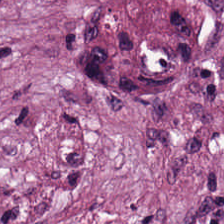H&E-stained section; the field shows tumor-associated stroma.
